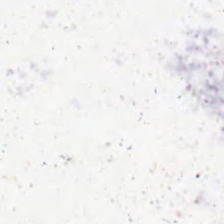Hematoxylin-and-eosin stained section · 0.5 µm/px — Content — empty background.
